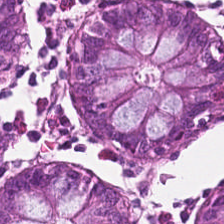H&E. {"tissue_type": "normal colon mucosa"}
